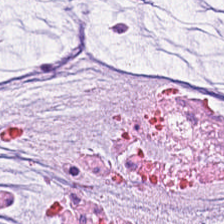224×224 px patch. Brightfield. Hematoxylin-and-eosin stained section.
Predominant tissue — mucus.
